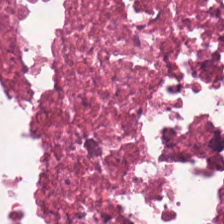WSI patch · H&E-stained tissue section. Q: What is the predominant tissue type?
A: Debris.
